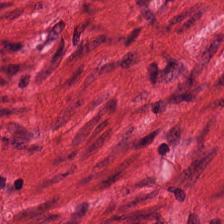H&E stain. Smooth muscle.
